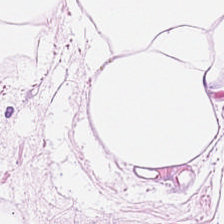The classification is fat tissue.
